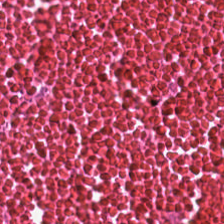The tissue here is cellular debris.
